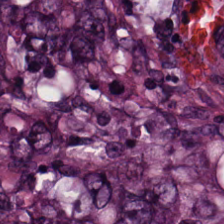H&E — Impression — colorectal adenocarcinoma epithelium.
